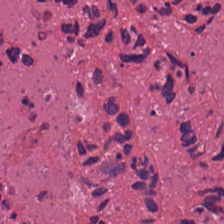20× equivalent magnification; FFPE; hematoxylin-and-eosin stained section.
Tissue class — debris.
